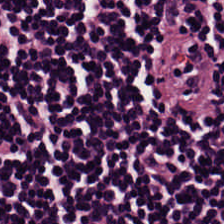Hematoxylin and eosin. Predominantly lymphocytic infiltrate.
